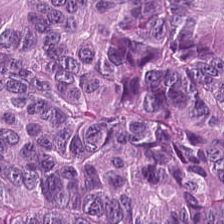H&E stain · WSI patch. The predominant tissue is colorectal adenocarcinoma.
